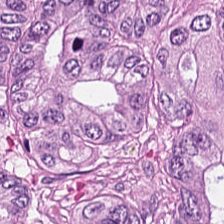H&E-stained tissue section · 224×224 px tile · whole-slide-image patch. Impression — colorectal adenocarcinoma.
